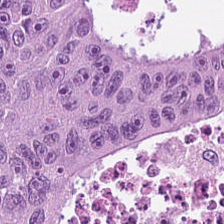0.5 µm/px; H&E stain — Colorectal adenocarcinoma.
